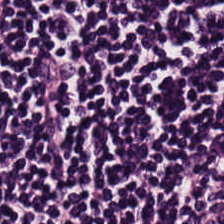Hematoxylin and eosin.
Impression — lymphocyte aggregate.
